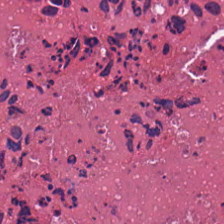FFPE; whole-slide-image patch; hematoxylin-and-eosin stained section — The tissue type is cellular debris.
